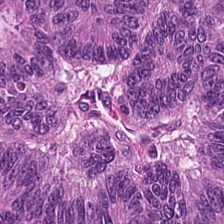H&E; 224×224 px tile.
Histology → adenocarcinoma.
